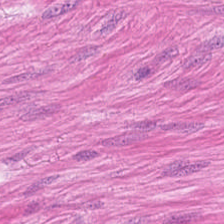Hematoxylin-and-eosin stained section. The predominant tissue is smooth muscle.
